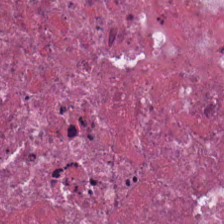Hematoxylin-and-eosin stained section · FFPE — Histology — necrotic debris.
